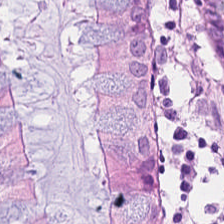Brightfield microscopy; FFPE; hematoxylin-and-eosin stained section — Normal colonic mucosa.
